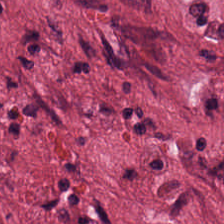Tumor stroma.
